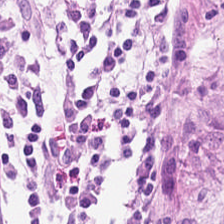H&E-stained tissue section. Impression — normal colon mucosa.
